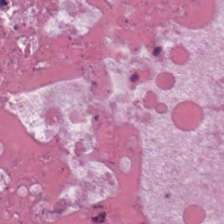H&E-stained tissue section; 224×224 px patch — The classification is debris.
